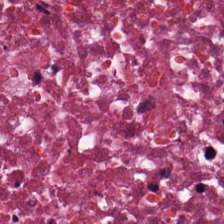H&E.
Predominantly debris.
